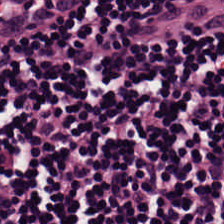FFPE tissue section; H&E-stained tissue section; 0.5 microns per pixel — The predominant tissue is lymphocyte aggregate.
